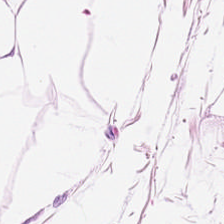Hematoxylin-and-eosin stained section. This field is adipose.
